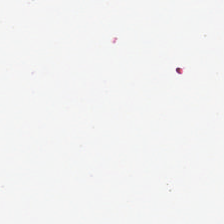Background — no tissue in this field.
